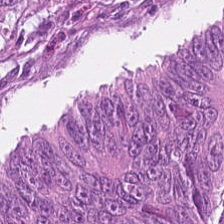FFPE · H&E — Q: Identify the tissue.
A: Malignant epithelium.
